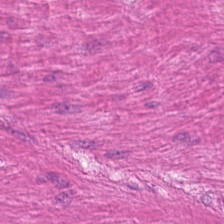Hematoxylin and eosin.
This patch shows smooth muscle.
